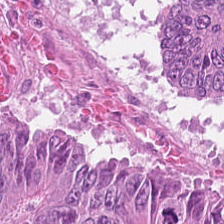FFPE; hematoxylin and eosin — The tissue class is tumor epithelium.
